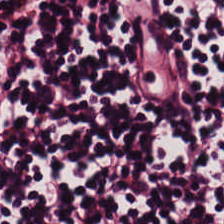Hematoxylin-and-eosin section: lymphoid infiltrate.
